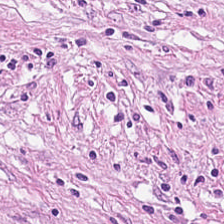Hematoxylin-and-eosin stained section.
Finding — tumor stroma.
